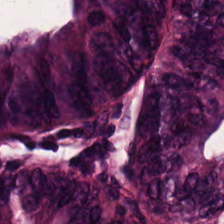H&E stain — The predominant tissue is colorectal adenocarcinoma epithelium.
